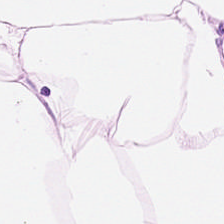H&E stain. 224×224 px tile. This field is adipocytes.
